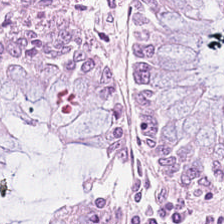H&E stain — The tissue is benign colonic mucosa.
